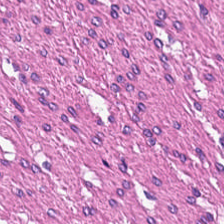Hematoxylin-and-eosin stained section; WSI patch. This patch shows smooth-muscle tissue.
